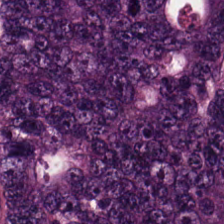Stain: H&E stain.
Predominant tissue: adenocarcinoma.
